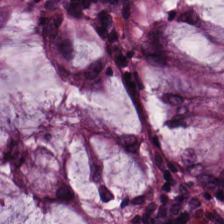H&E · 0.5 µm/px — Predominant tissue — normal colon mucosa.
